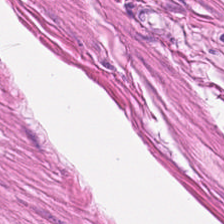Hematoxylin and eosin. Q: What is shown here?
A: The field shows smooth-muscle tissue.
